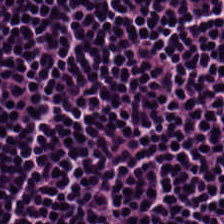Hematoxylin-and-eosin stained section; 224×224 pixel tile — Predominantly lymphoid infiltrate.
